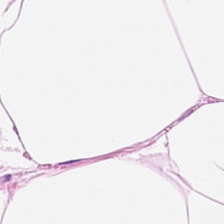H&E-stained tissue section. The predominant tissue is adipocytes.
